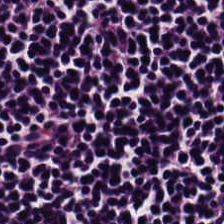This field is lymphocytic infiltrate.
